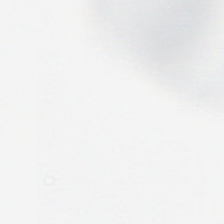Stain: H&E.
Classification: no tissue.
